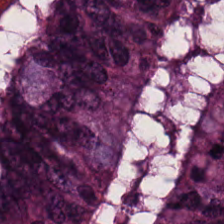Classification = colorectal adenocarcinoma epithelium.
